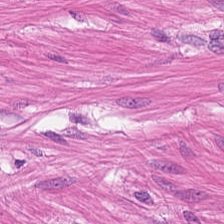H&E — {"tissue_type": "smooth muscle"}
